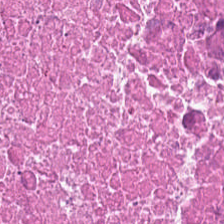H&E stain — Q: What is shown here?
A: It is necrotic debris.
